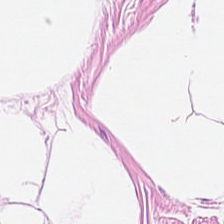Q: Classify this patch.
A: This is fat tissue.
